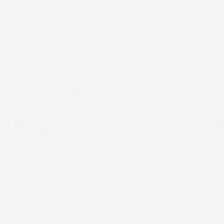H&E stain · 224×224 px patch.
Impression → background.
